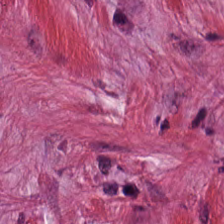H&E-stained tissue section — The tissue is cancer-associated stroma.
